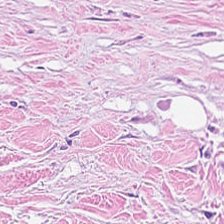H&E stain. Predominant tissue: tumor-associated stroma.
